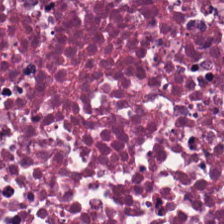Hematoxylin-and-eosin stained section.
Finding — cellular debris.
